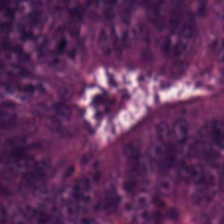Hematoxylin and eosin · 224×224 px tile · 0.5 µm/px. Tissue: adenocarcinoma.
